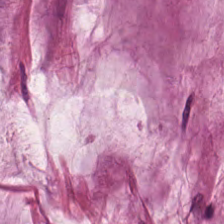Stain: hematoxylin and eosin.
Predominant tissue: mucin.
